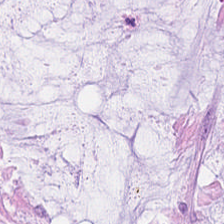H&E stain.
Impression — extracellular mucin.
